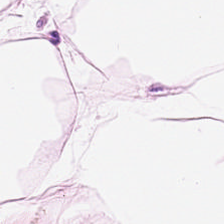224×224 px tile · H&E.
Predominantly adipose.
